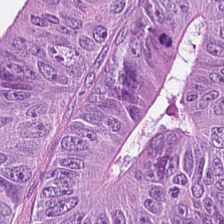H&E stain. Formalin-fixed paraffin-embedded section — {"tissue_type": "colorectal adenocarcinoma"}
